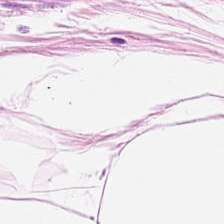Q: What is shown in this field?
A: It is adipocytes.
